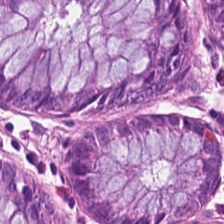Finding — normal colonic mucosa.
